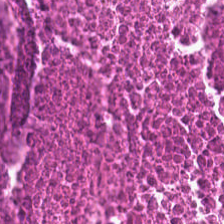H&E. Q: What tissue type is shown here?
A: The field shows debris.
